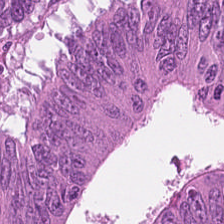0.5 µm/px; H&E; 224×224 px tile — Predominantly colorectal adenocarcinoma.
